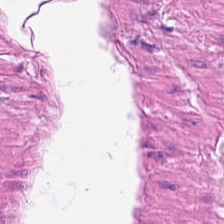H&E-stained tissue section.
Histology → muscularis.
